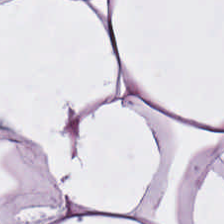H&E stain — This patch shows adipose.
